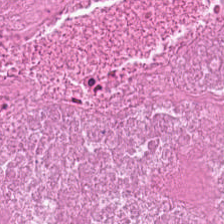Impression → debris.
